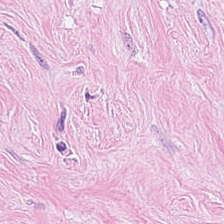FFPE. H&E-stained tissue section. Q: What does this patch show?
A: It is tumor stroma.
